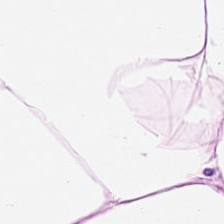WSI patch; 224×224 px patch; H&E stain. Tissue class = adipose.
